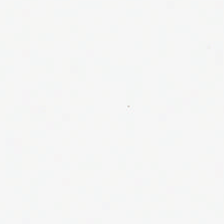Brightfield microscopy; hematoxylin-and-eosin stained section.
Finding → empty background.
